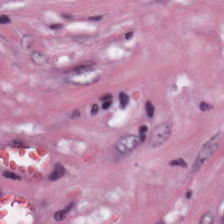H&E. 0.5 µm per pixel.
Q: What tissue is shown?
A: This is tumor stroma.
